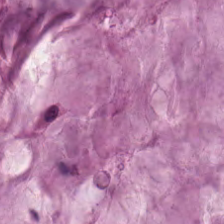Mucin.
